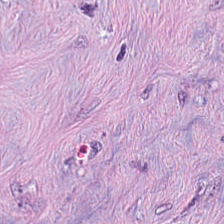H&E; brightfield — Predominantly tumor stroma.
